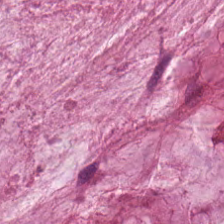This field is mucus.
